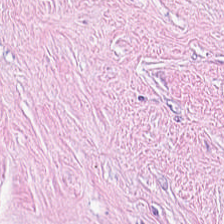FFPE tissue section · H&E · 0.5 microns per pixel — Tissue class = desmoplastic stroma.
